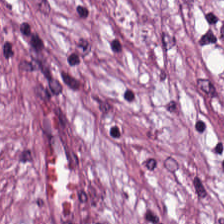Hematoxylin-and-eosin stained section — Predominantly desmoplastic stroma.
